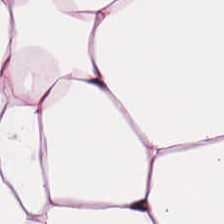H&E-stained tissue section. Q: What is the predominant tissue type?
A: It is adipocytes.
